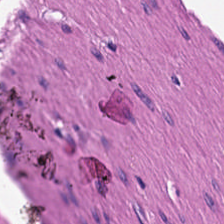The tissue type is muscularis.
